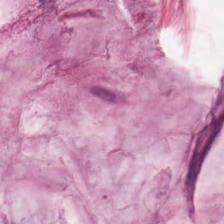H&E patch showing extracellular mucin.
